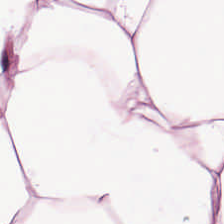Hematoxylin-and-eosin stained section · 224×224 pixel tile — Tissue: fat tissue.
